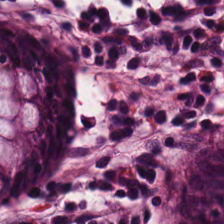Tissue type: benign colonic mucosa.
